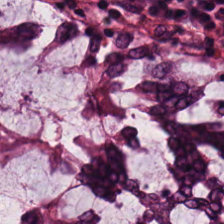Stain: H&E.
Tissue type: normal colonic mucosa.
